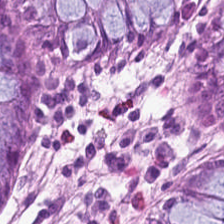20× equivalent magnification · whole-slide-image patch · hematoxylin-and-eosin stained section.
The tissue class is normal colon mucosa.
